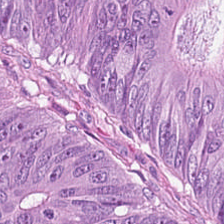224×224 pixel tile; hematoxylin-and-eosin stained section.
Q: What is shown in this field?
A: This is malignant epithelium.
